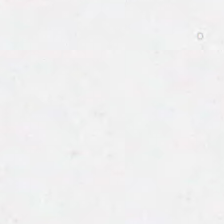H&E — This patch shows no tissue.
